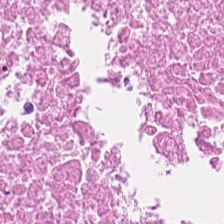H&E stain. Brightfield. FFPE tissue section — The predominant tissue is cellular debris.
